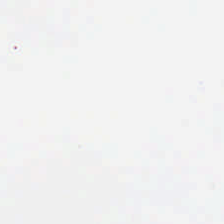Hematoxylin-and-eosin stained section. 0.5 µm per pixel — Background — no tissue in this field.
